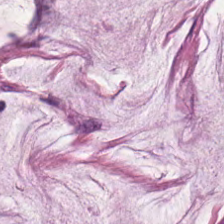224×224 px tile. H&E stain. Extracellular mucin.
